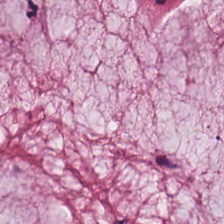Tissue = mucus.
